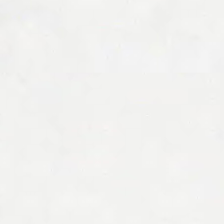Hematoxylin-and-eosin stained section · 224×224 px tile — No tissue.
